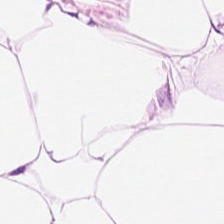Histology — adipose tissue.
